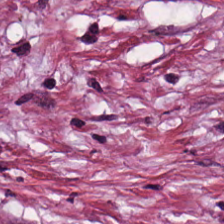Stain: H&E.
Tissue: tumor stroma.
